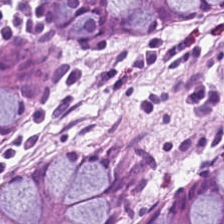20× equivalent magnification. Hematoxylin-and-eosin stained section. Brightfield. Predominantly benign colonic mucosa.
